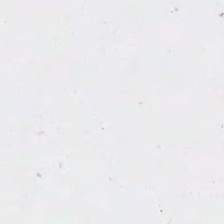Hematoxylin-and-eosin stained section · 224×224 pixel tile — Background — no tissue in this field.
